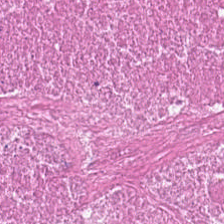Whole-slide-image patch. H&E.
Predominantly cellular debris.
